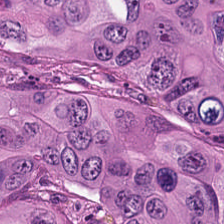Hematoxylin-and-eosin stained section; brightfield microscopy.
Tissue class — adenocarcinoma.
